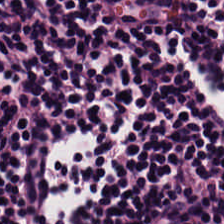Stain: H&E-stained tissue section.
Acquisition: whole-slide-image patch.
Tissue: lymphocytes.
